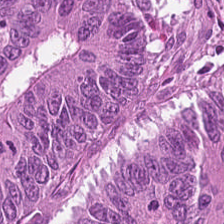Stain: hematoxylin and eosin.
Tile size: 224×224 px patch.
Tissue class: malignant epithelium.
